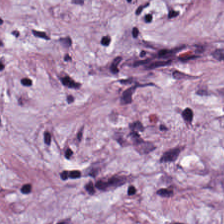Tissue — tumor stroma.
